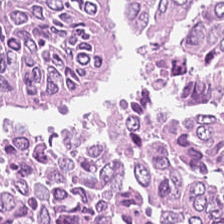Hematoxylin and eosin · 224×224 px tile — {"tissue_type": "tumor epithelium"}
